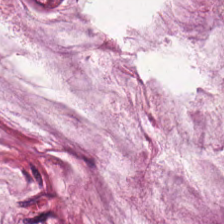Stain: hematoxylin and eosin.
Predominant tissue: extracellular mucin.
